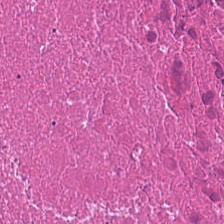Whole-slide-image patch; H&E-stained tissue section — The predominant tissue is cellular debris.
